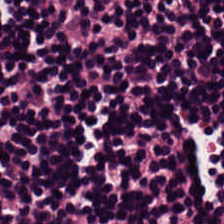Hematoxylin-and-eosin stained section. Brightfield — This patch shows lymphocytes.
